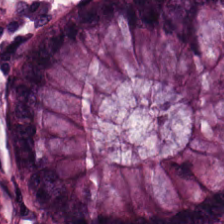Hematoxylin and eosin.
Tissue: benign colonic mucosa.
